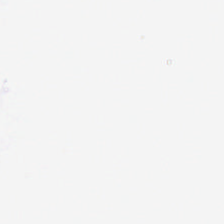Hematoxylin and eosin; 0.5 µm/px — Histology → background (no tissue).
